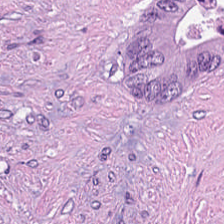H&E-stained tissue section — Q: What tissue type is shown here?
A: This is necrotic debris.
